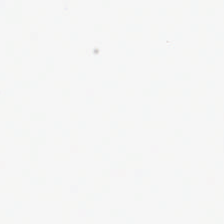H&E — The classification is background.
